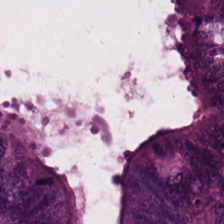Stain: H&E stain.
Tissue type: malignant epithelium.
